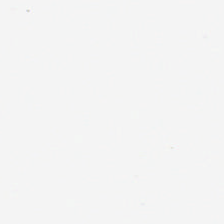Stain: H&E-stained tissue section.
Acquisition: brightfield.
Content: background (no tissue).
